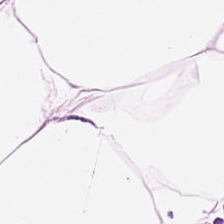Hematoxylin-and-eosin stained section. FFPE — Predominantly adipose tissue.
